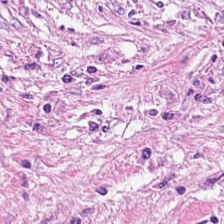H&E-stained tissue section showing tumor-associated stroma.
